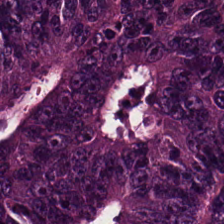224×224 pixel tile · H&E stain. Tissue class = malignant epithelium.
